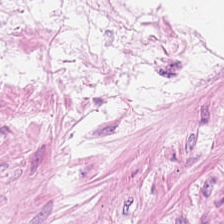H&E stain — This patch shows muscularis.
